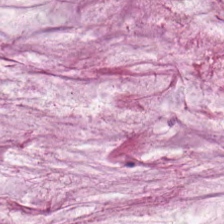Hematoxylin-and-eosin stained section. {"tissue_type": "extracellular mucin"}
